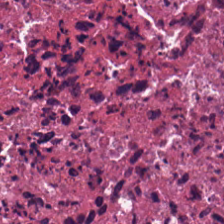Stain: H&E.
Tissue class: cellular debris.
